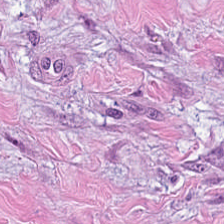Tissue type: tumor-associated stroma.
